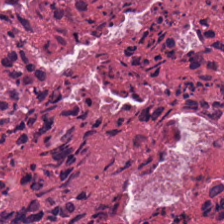0.5 µm/px · H&E stain. Q: Identify the tissue.
A: The field shows cellular debris.
